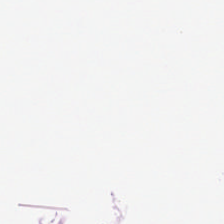Hematoxylin-and-eosin stained section — Tissue = adipose.
